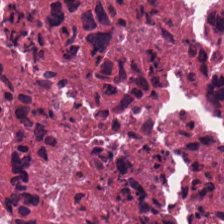0.5 microns per pixel. H&E stain. FFPE — Q: What tissue type is shown here?
A: This is necrotic debris.
